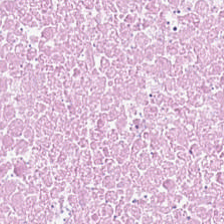FFPE. H&E — Impression → necrotic debris.
